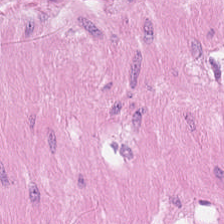The classification is smooth muscle.
